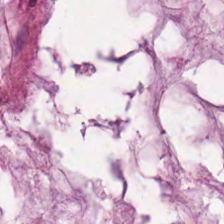Tissue class — mucus.
